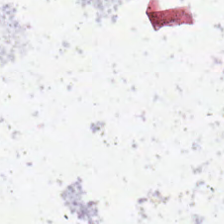H&E stain.
Background — no tissue in this field.
